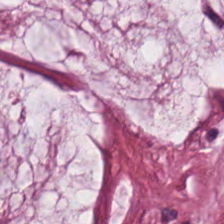Hematoxylin-and-eosin stained section; 224×224 px tile — Q: Classify this patch.
A: It is mucus.
